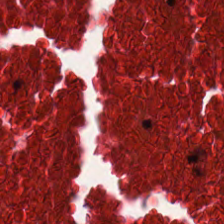Stain: H&E stain.
Preparation: FFPE.
Tissue type: debris.
